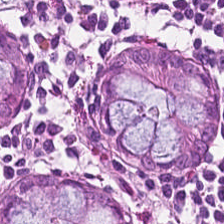This patch shows non-neoplastic colon mucosa.
